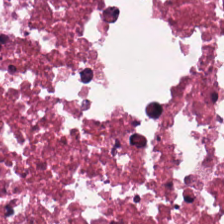H&E-stained tissue section. The predominant tissue is necrotic debris.
